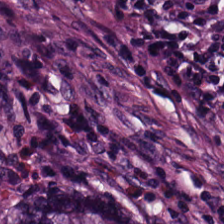Hematoxylin and eosin. This patch shows non-neoplastic colon mucosa.
